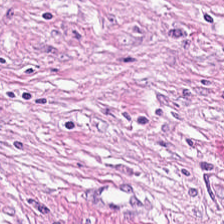Stain: H&E.
Classification: desmoplastic stroma.
